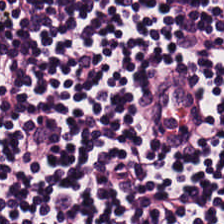Hematoxylin-and-eosin stained section.
Tissue: lymphocytes.
